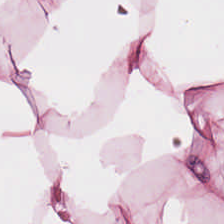Hematoxylin and eosin. Tissue class — adipocytes.
